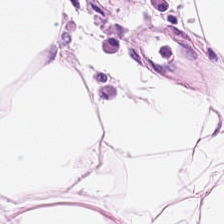20× equivalent magnification. Hematoxylin and eosin. Brightfield. Q: What is shown in this field?
A: Adipose tissue.
